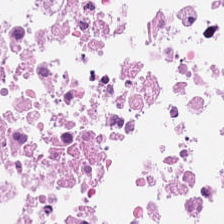H&E-stained tissue section — Q: What is the predominant tissue type?
A: Debris.
